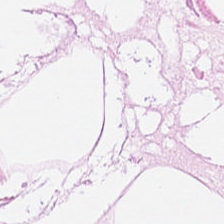The tissue class is adipose.
